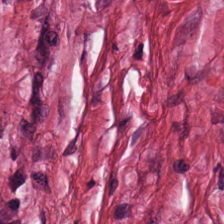H&E-stained tissue section. Q: What is shown here?
A: The field shows tumor stroma.
